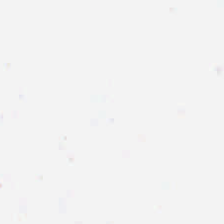Hematoxylin-and-eosin stained section. 0.5 µm/px.
Field content = background (no tissue).
